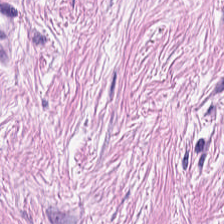Tissue — tumor-associated stroma.
